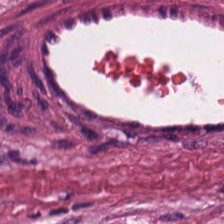Impression — desmoplastic stroma.
